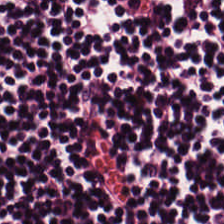H&E.
The tissue is lymphoid infiltrate.
